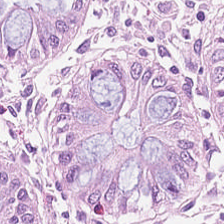Normal colon mucosa.
